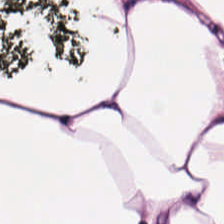H&E-stained tissue section — Showing fat tissue.
